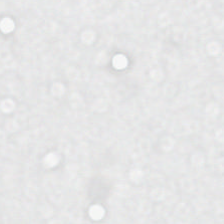0.5 µm/px · FFPE tissue section · hematoxylin and eosin.
Background — no tissue in this field.
